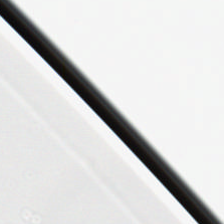Stain: H&E stain.
Preparation: FFPE.
Field content: no tissue.
